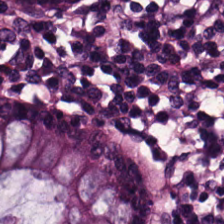0.5 microns per pixel; H&E-stained tissue section. This field is normal colonic mucosa.
